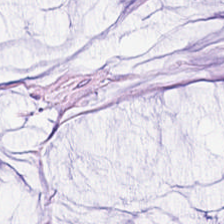224×224 px patch. H&E stain — Showing mucin.
